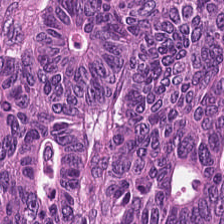Tissue = adenocarcinoma.
